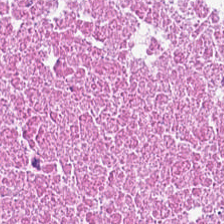FFPE; H&E stain — {"tissue_type": "cellular debris"}
